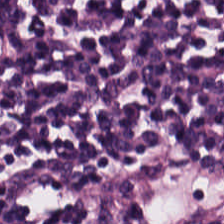H&E. The tissue here is lymphocyte aggregate.
